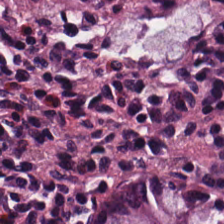Q: What tissue type is shown here?
A: Benign colonic mucosa.
